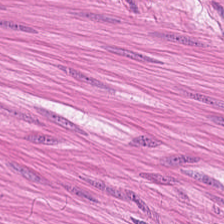Hematoxylin and eosin. This patch shows smooth-muscle tissue.
